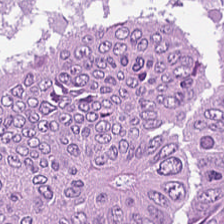{"tissue_type": "colorectal adenocarcinoma"}
